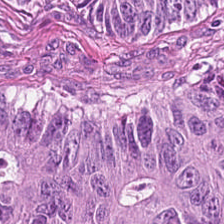H&E stain. Classification = colorectal adenocarcinoma.
